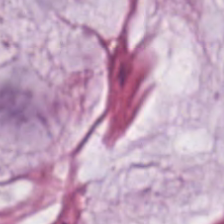Hematoxylin and eosin — Predominantly mucus.
